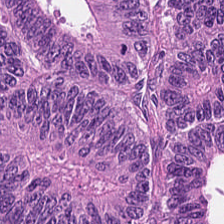Hematoxylin-and-eosin stained section. Q: Classify this patch.
A: It is colorectal adenocarcinoma epithelium.
